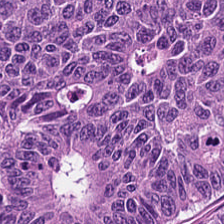Q: What is shown here?
A: This is adenocarcinoma.
